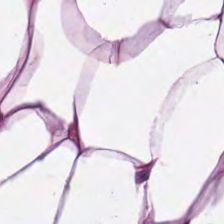H&E-stained tissue section — This patch shows fat tissue.
